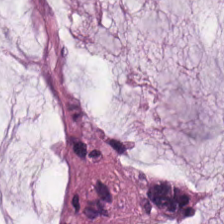Stain: H&E.
Tissue class: mucin.
